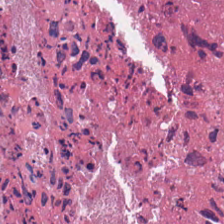{"tissue_type": "debris"}
